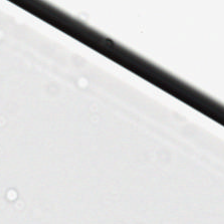Finding — no tissue.
